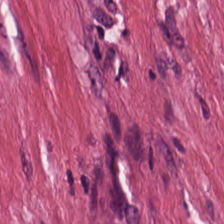H&E-stained tissue section — Tissue class — tumor-associated stroma.
